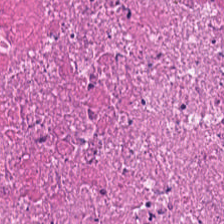Hematoxylin-and-eosin stained section. The tissue here is debris.
